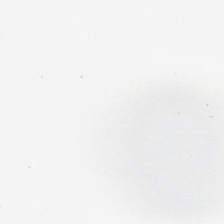H&E. {"content": "empty background"}
